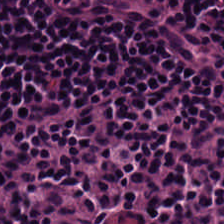H&E stain. 0.5 microns per pixel.
Histology — lymphocytes.
